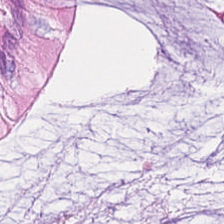Tissue type: normal colonic mucosa.
